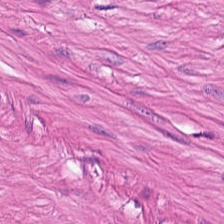Hematoxylin-and-eosin stained section — Smooth-muscle tissue.
